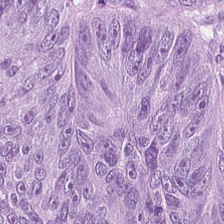Hematoxylin-and-eosin section: colorectal adenocarcinoma epithelium.
